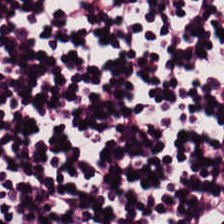H&E-stained tissue section. The tissue here is lymphocytic infiltrate.
